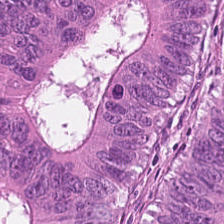H&E.
Q: What tissue is shown?
A: The field shows tumor epithelium.
